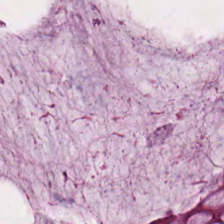Hematoxylin and eosin — This field is non-neoplastic colon mucosa.
